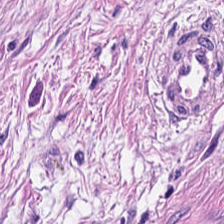H&E patch showing muscularis.
